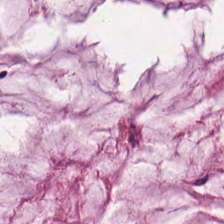H&E · brightfield microscopy.
Impression → mucus.
